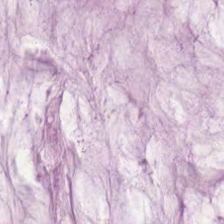224×224 pixel tile; whole-slide-image patch; H&E. Q: What is shown in this field?
A: Mucus.
